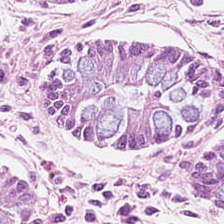H&E stain.
Predominantly normal colonic mucosa.
